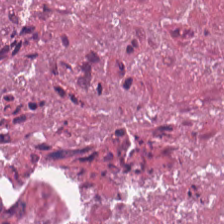Hematoxylin-and-eosin stained section. 0.5 µm per pixel.
Tissue — cellular debris.
